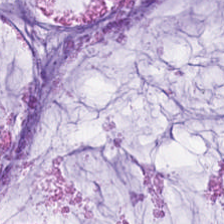FFPE tissue section; hematoxylin-and-eosin stained section — Q: What is the predominant tissue type?
A: This is mucin.
